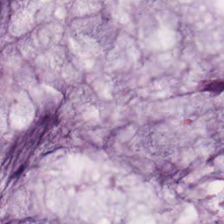H&E. The tissue here is extracellular mucin.
